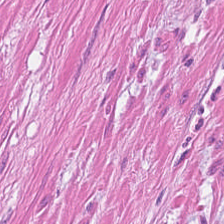H&E-stained tissue section. The predominant tissue is smooth muscle.
